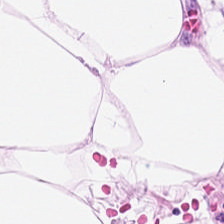0.5 microns per pixel; H&E-stained tissue section — Q: What is the predominant tissue type?
A: Adipocytes.
